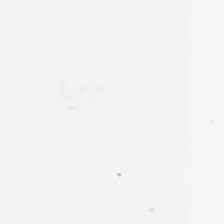Q: Classify this patch.
A: The field shows empty background.
